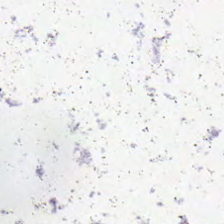Empty field — background.
